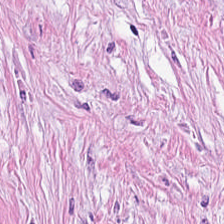Classification: desmoplastic stroma.
